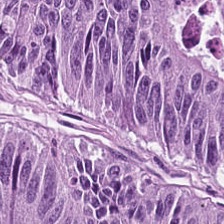Hematoxylin-and-eosin stained section. FFPE. Brightfield microscopy.
The tissue type is colorectal adenocarcinoma.
